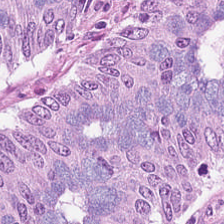Hematoxylin-and-eosin stained section. Brightfield microscopy. Formalin-fixed paraffin-embedded section.
The tissue type is malignant epithelium.
